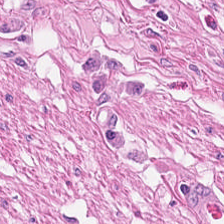H&E-stained section; the field shows muscularis.
